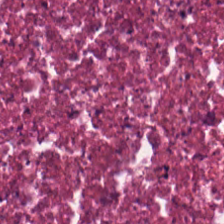This field is necrotic debris.
